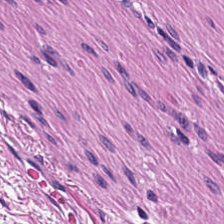H&E-stained tissue section — Q: What type of tissue is this?
A: It is smooth muscle.
